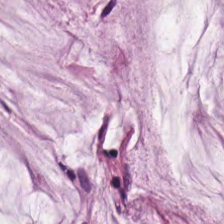FFPE; 224×224 px tile; H&E-stained tissue section.
Tissue class: mucin.
